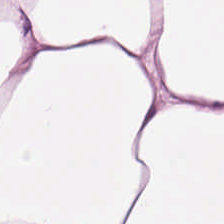Hematoxylin and eosin. Brightfield microscopy.
Tissue type: fat tissue.
